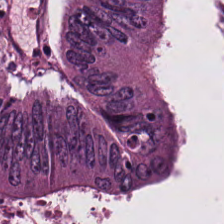H&E. The tissue class is colorectal adenocarcinoma.
